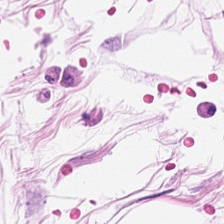Hematoxylin and eosin · FFPE tissue section.
Tissue class = adipose tissue.
